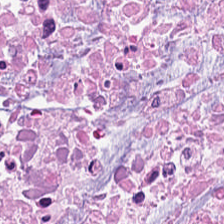H&E stain. This field is necrotic debris.
